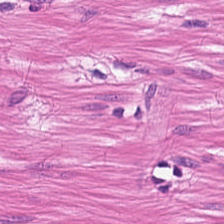H&E-stained tissue section · FFPE tissue section — This patch shows smooth-muscle tissue.
